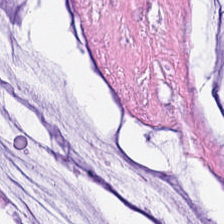H&E-stained tissue section.
The predominant tissue is extracellular mucin.
